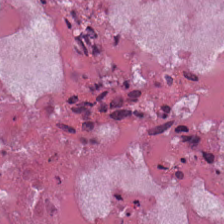224×224 pixel tile; H&E. Q: What tissue is shown?
A: Cellular debris.
